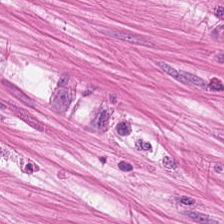Hematoxylin and eosin — Predominantly smooth-muscle tissue.
